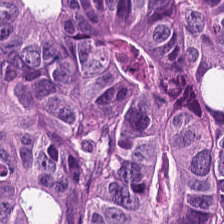Q: What tissue type is shown here?
A: It is adenocarcinoma.
